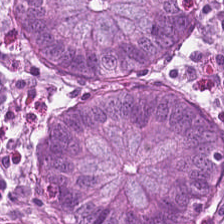224×224 px tile; hematoxylin and eosin — Q: Classify this patch.
A: It is normal colonic mucosa.
